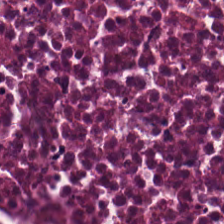This field is debris.
